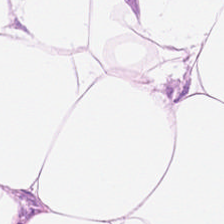0.5 µm/px; H&E-stained tissue section. Impression → adipose tissue.
